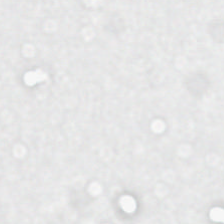Finding — no tissue.
